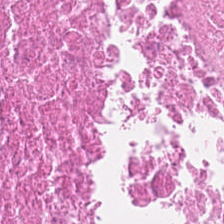Q: What type of tissue is this?
A: This is cellular debris.
